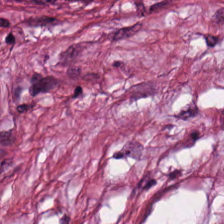Tissue type — tumor stroma.
